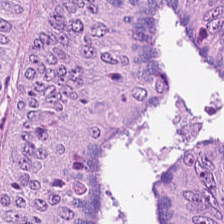Hematoxylin and eosin; FFPE. {"tissue_type": "adenocarcinoma"}
